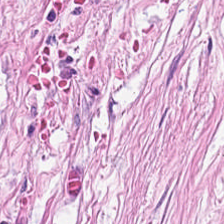Hematoxylin and eosin.
Tissue class = tumor stroma.
